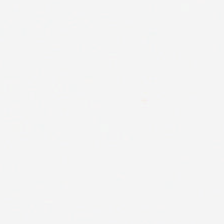H&E-stained tissue section. This field is background (no tissue).
